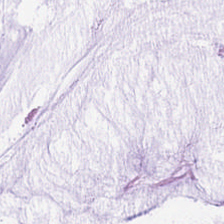Stain: hematoxylin and eosin.
Tissue: mucus.
